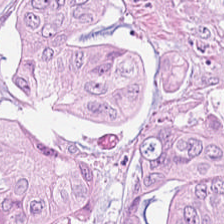H&E stain. Tissue class = malignant epithelium.
